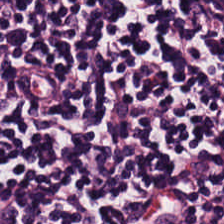Predominantly lymphocytic infiltrate.
